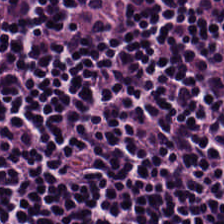0.5 µm/px. H&E.
Q: What tissue type is shown here?
A: This is lymphocyte aggregate.
